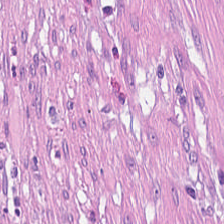Brightfield · H&E stain.
Tissue class = tumor-associated stroma.
